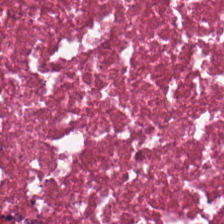Tissue type: necrotic debris.
